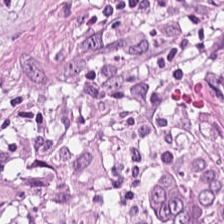Impression — desmoplastic stroma.
